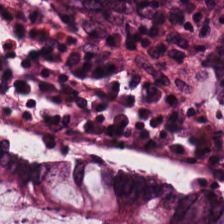Normal colon mucosa.
